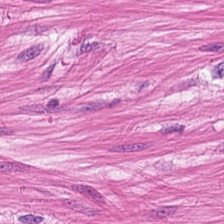H&E. The tissue type is smooth-muscle tissue.
